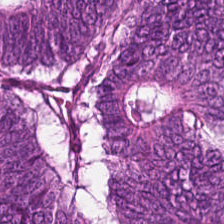Stain: H&E.
Preparation: FFPE.
Predominant tissue: tumor epithelium.
